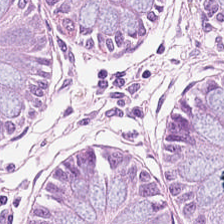This patch shows normal colonic mucosa.
